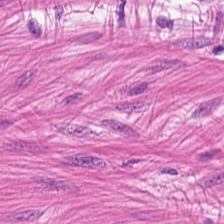Hematoxylin and eosin; 224×224 pixel tile.
The tissue here is muscularis.
